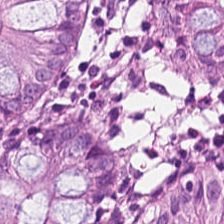H&E.
Tissue — benign colonic mucosa.
